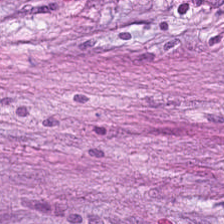H&E — Q: What does this patch show?
A: It is desmoplastic stroma.
